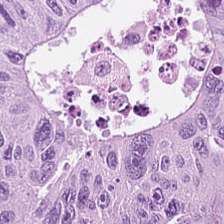Stain: H&E stain.
Classification: colorectal adenocarcinoma epithelium.
